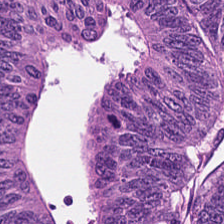Hematoxylin-and-eosin stained section — Q: Classify this patch.
A: Adenocarcinoma.
